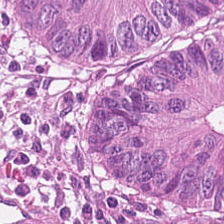Tissue: adenocarcinoma.
